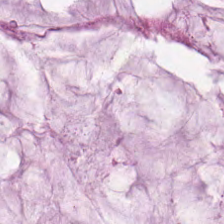H&E stain.
Histology → extracellular mucin.
